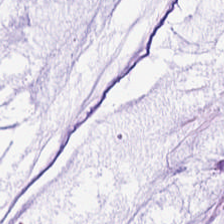20× equivalent magnification · H&E · 224×224 px patch.
Showing mucin.
